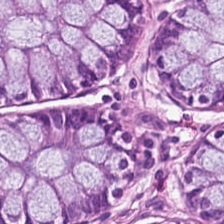Stain: hematoxylin-and-eosin stained section.
Tissue class: normal colon mucosa.
